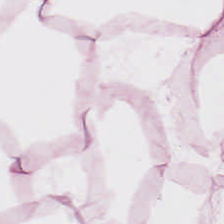0.5 µm/px · brightfield · H&E-stained tissue section.
Showing adipose tissue.
